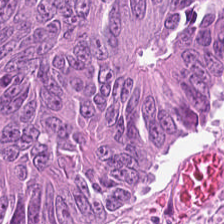Formalin-fixed paraffin-embedded section. H&E-stained tissue section. Brightfield.
The predominant tissue is colorectal adenocarcinoma.
